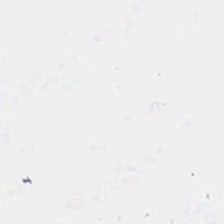Stain: H&E-stained tissue section.
Classification: background.
